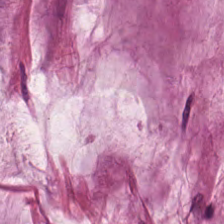H&E stain. Q: What tissue is shown?
A: It is mucin.
